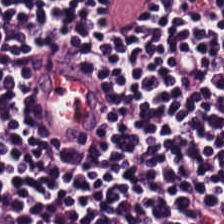H&E stain. Tissue — lymphoid infiltrate.
